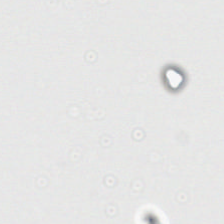224×224 px patch; H&E-stained tissue section; whole-slide-image patch.
This patch shows no tissue.
